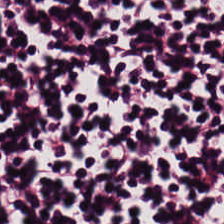Q: What is the predominant tissue type?
A: This is lymphocytic infiltrate.
